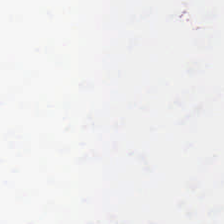This field is background (no tissue).
